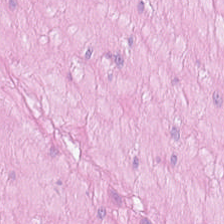H&E.
Classification — smooth-muscle tissue.
